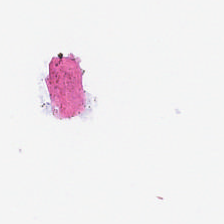Stain: H&E-stained tissue section.
Content: background (no tissue).
